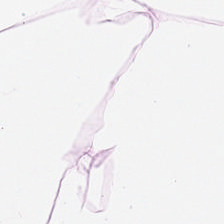H&E · formalin-fixed paraffin-embedded section · brightfield — Q: What does this patch show?
A: The field shows adipose tissue.
